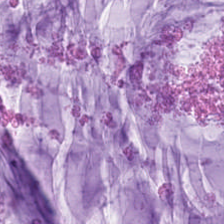H&E.
The predominant tissue is extracellular mucin.
